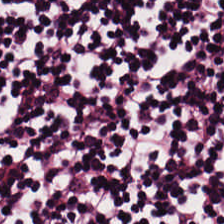H&E-stained tissue section.
The tissue here is lymphoid infiltrate.
